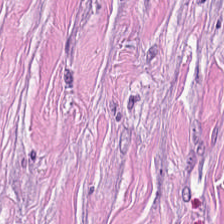H&E — Showing tumor-associated stroma.
